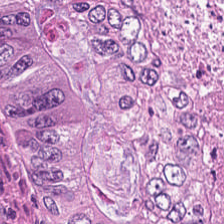Stain: hematoxylin-and-eosin stained section.
Resolution: 20× equivalent magnification.
Predominant tissue: cellular debris.
